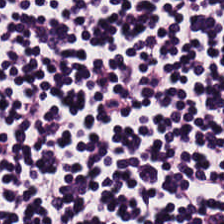Hematoxylin and eosin; 0.5 µm/px.
Finding → lymphocytes.
